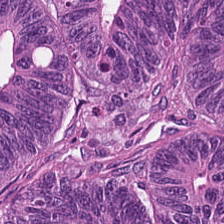{"tissue_type": "malignant epithelium"}
